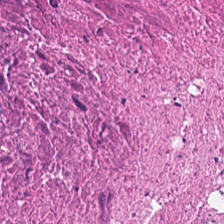Whole-slide-image patch. Hematoxylin and eosin.
This patch shows cellular debris.
